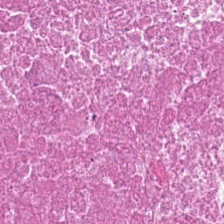H&E-stained tissue section — This field is debris.
